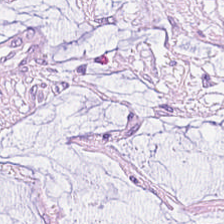Q: Classify this patch.
A: The field shows extracellular mucin.
